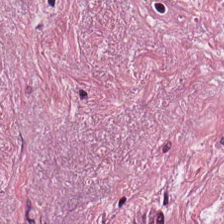Hematoxylin and eosin — Histology — tumor-associated stroma.
